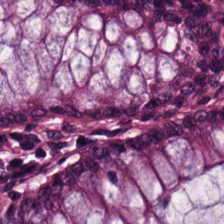Hematoxylin and eosin. Impression → normal colonic mucosa.
